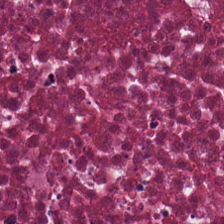Stain: H&E.
Tissue class: necrotic debris.
